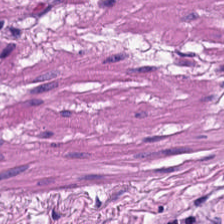H&E-stained section; the field shows smooth-muscle tissue.
